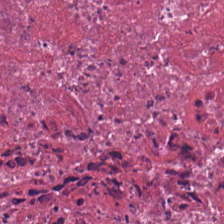Hematoxylin-and-eosin stained section. The tissue class is cellular debris.
